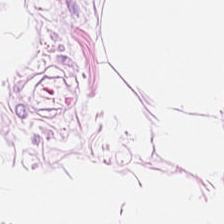H&E. Finding → adipocytes.
